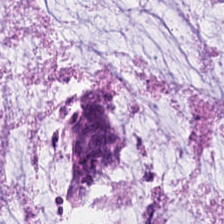H&E stain — Showing extracellular mucin.
